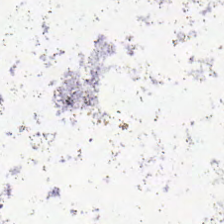Histology → no tissue.
